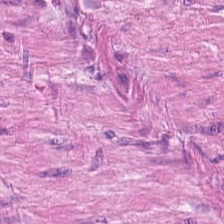Hematoxylin and eosin. The predominant tissue is muscularis.
